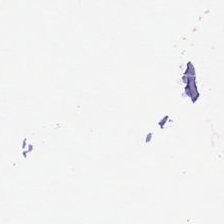Q: What is shown here?
A: It is empty background.
